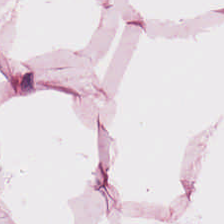H&E.
The predominant tissue is adipocytes.
